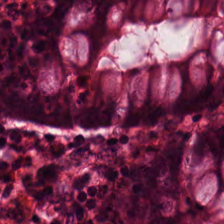H&E stain. Finding → normal colon mucosa.
